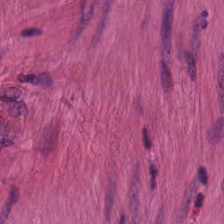Tissue = muscularis.
